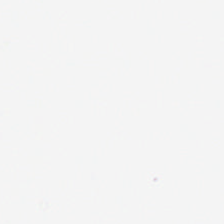H&E — No tissue.
